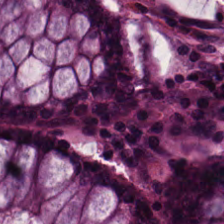H&E — Predominantly benign colonic mucosa.
